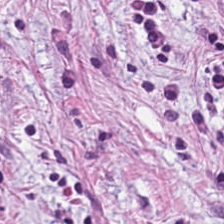Stain: H&E-stained tissue section.
Resolution: 0.5 microns per pixel.
Predominant tissue: tumor-associated stroma.
